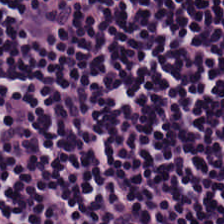H&E-stained tissue section showing lymphoid infiltrate.
